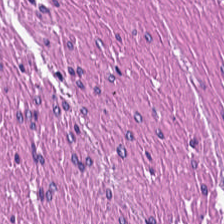H&E-stained tissue section — Smooth-muscle tissue.
